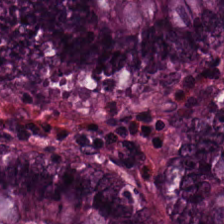Tissue type — normal colonic mucosa.
